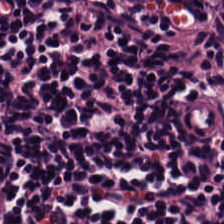224×224 pixel tile · hematoxylin-and-eosin stained section · 0.5 microns per pixel. Showing lymphocyte aggregate.
